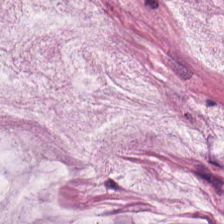Hematoxylin-and-eosin stained section · FFPE tissue section. Q: What is shown here?
A: It is extracellular mucin.
